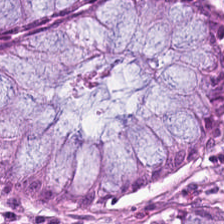H&E-stained tissue section. The classification is non-neoplastic colon mucosa.
